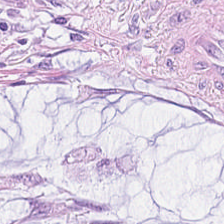H&E-stained tissue section — The predominant tissue is mucin.
